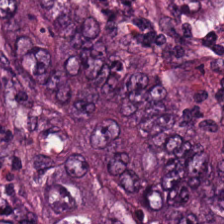0.5 microns per pixel. FFPE. Hematoxylin-and-eosin stained section. Colorectal adenocarcinoma.
